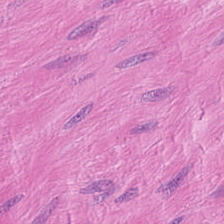Hematoxylin-and-eosin stained section — Predominant tissue — muscularis.
